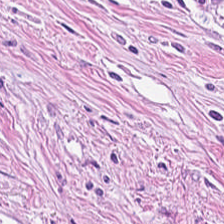H&E. Desmoplastic stroma.
